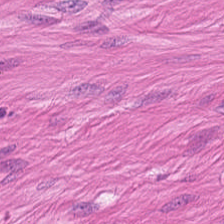Stain: hematoxylin-and-eosin stained section.
Tile size: 224×224 px tile.
Resolution: 0.5 µm/px.
Tissue type: muscularis.
